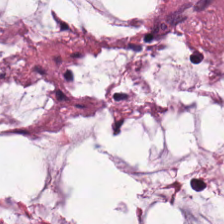H&E — {"tissue_type": "mucin"}
